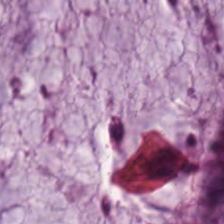H&E. This field is extracellular mucin.
